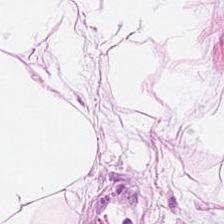Hematoxylin-and-eosin section: adipose.
